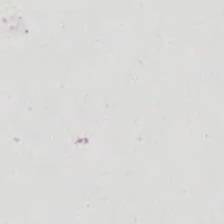This patch shows empty background.
